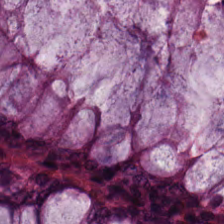H&E stain. This patch shows normal colon mucosa.
